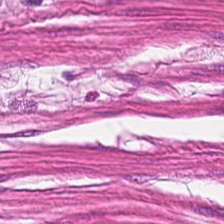Stain: H&E-stained tissue section.
Resolution: 0.5 µm per pixel.
Acquisition: brightfield.
Classification: smooth-muscle tissue.
